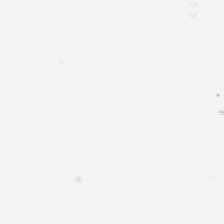Hematoxylin and eosin. This field is background (no tissue).
